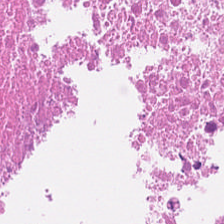Stain: hematoxylin and eosin.
Resolution: 0.5 µm per pixel.
Tile size: 224×224 px patch.
Tissue type: debris.
